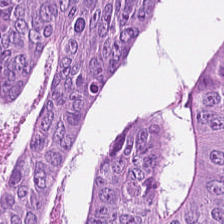Hematoxylin-and-eosin stained section. This patch shows adenocarcinoma.
